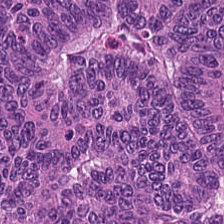Tissue = tumor epithelium.
